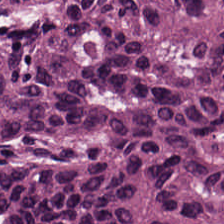Stain: hematoxylin-and-eosin stained section.
Classification: tumor epithelium.
